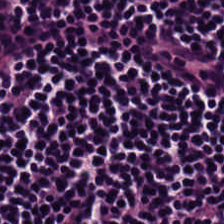Hematoxylin-and-eosin stained section.
Predominantly lymphocytes.
